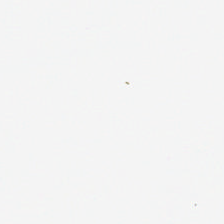H&E-stained tissue section; 224×224 pixel tile.
This field is background (no tissue).
